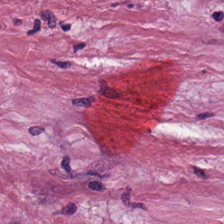Stain: hematoxylin-and-eosin stained section.
Resolution: 0.5 microns per pixel.
Tissue class: tumor-associated stroma.
